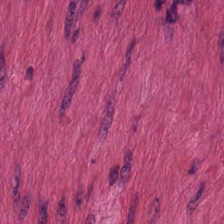Q: What tissue type is shown here?
A: Smooth muscle.
